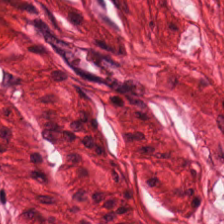H&E — Tissue — muscularis.
